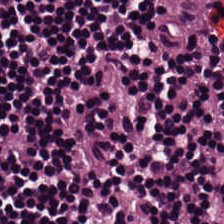The tissue class is lymphocytes.
